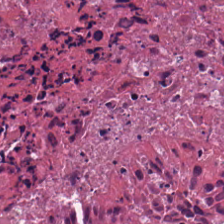H&E-stained tissue section; WSI patch — The tissue here is cellular debris.
